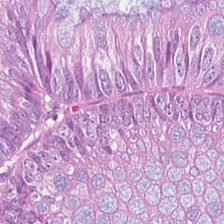Stain: hematoxylin-and-eosin stained section.
Acquisition: whole-slide-image patch.
Tissue type: colorectal adenocarcinoma epithelium.
